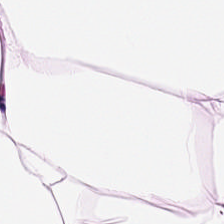Stain: hematoxylin-and-eosin stained section.
Classification: fat tissue.
